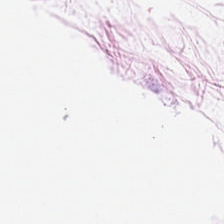Hematoxylin-and-eosin stained section.
The predominant tissue is adipose.
